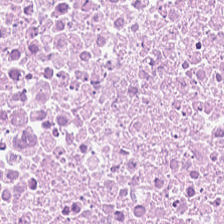This patch shows cellular debris.
